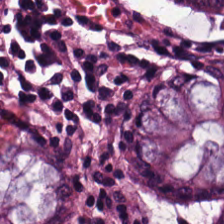H&E stain. 224×224 px patch. Brightfield. {"tissue_type": "non-neoplastic colon mucosa"}
